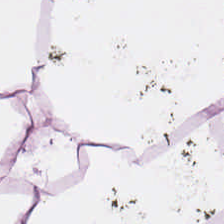H&E-stained tissue section. This field is fat tissue.
